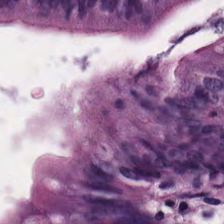224×224 pixel tile; hematoxylin and eosin — The predominant tissue is normal colonic mucosa.
